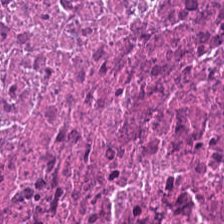H&E-stained tissue section. 224×224 px patch. 0.5 microns per pixel. The predominant tissue is debris.
